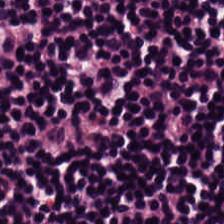Hematoxylin-and-eosin stained section. The predominant tissue is lymphocytic infiltrate.
